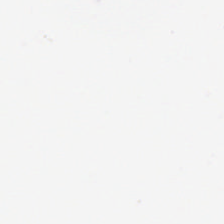Brightfield microscopy · hematoxylin-and-eosin stained section · 224×224 px tile. Q: What does this patch show?
A: Background.
